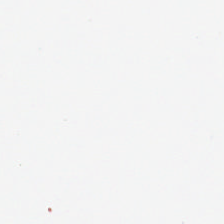H&E. The content is no tissue.
